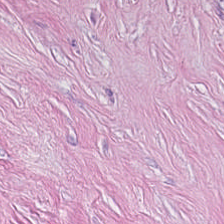Histology → cancer-associated stroma.
